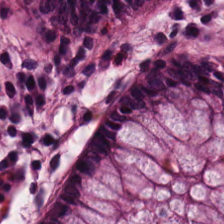224×224 px tile. Brightfield microscopy. H&E. The tissue here is normal colonic mucosa.
